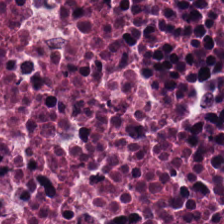Debris.
